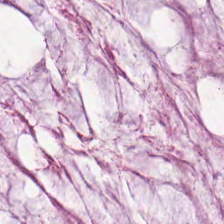H&E-stained tissue section — Predominantly extracellular mucin.
